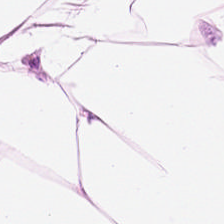Hematoxylin and eosin · 0.5 µm per pixel · WSI patch.
This field is adipocytes.
